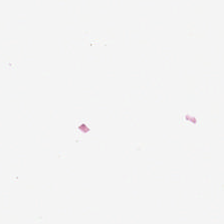Stain: hematoxylin-and-eosin stained section.
Field content: background (no tissue).
